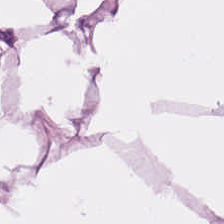20× equivalent magnification. 224×224 px patch. H&E-stained tissue section — Tissue type: adipose tissue.
